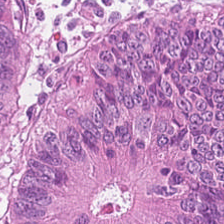H&E-stained section; the field shows adenocarcinoma.
